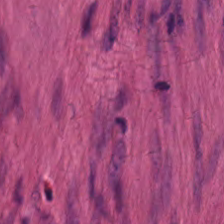H&E-stained tissue section. 224×224 px patch. Formalin-fixed paraffin-embedded section — The tissue here is smooth muscle.
